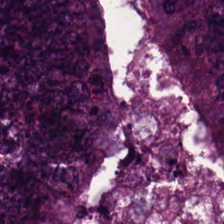H&E stain; 0.5 microns per pixel — This field is tumor epithelium.
